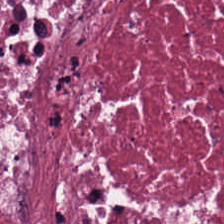H&E stain — Q: What is the predominant tissue type?
A: This is debris.
